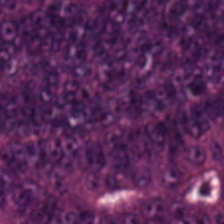H&E — The tissue class is tumor epithelium.
